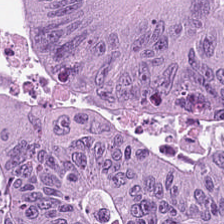H&E-stained tissue section. The predominant tissue is tumor epithelium.
